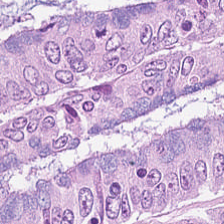Predominantly malignant epithelium.
